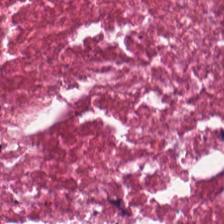Q: What is shown in this field?
A: Debris.
